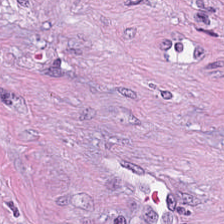Stain: H&E stain.
Tissue class: tumor-associated stroma.
